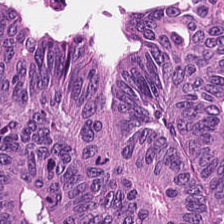H&E; whole-slide-image patch; formalin-fixed paraffin-embedded section.
Q: Classify this patch.
A: Malignant epithelium.
